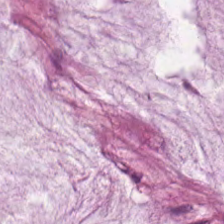224×224 px tile; H&E-stained tissue section.
Predominantly mucus.
